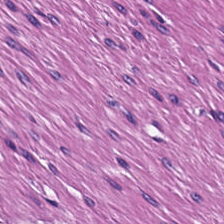H&E-stained tissue section — Q: Classify this patch.
A: Smooth-muscle tissue.
